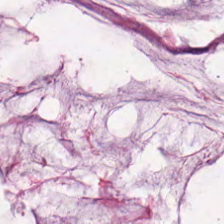Hematoxylin-and-eosin section: mucus.
